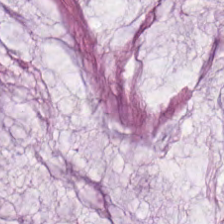The tissue here is mucus.
